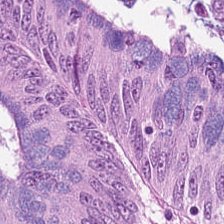This field is colorectal adenocarcinoma epithelium.
